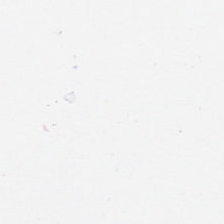20× equivalent magnification; hematoxylin-and-eosin stained section — The content is empty background.
